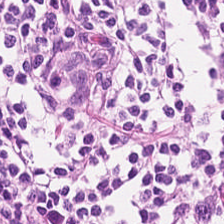Q: What is the predominant tissue type?
A: It is smooth muscle.
